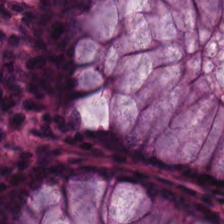224×224 px tile; FFPE tissue section; H&E-stained tissue section. {"tissue_type": "non-neoplastic colon mucosa"}
